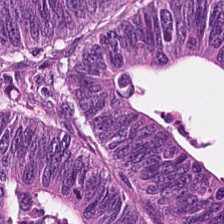H&E patch showing malignant epithelium.
